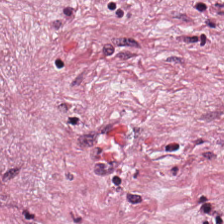Hematoxylin-and-eosin stained section; 224×224 pixel tile. Predominantly tumor-associated stroma.
